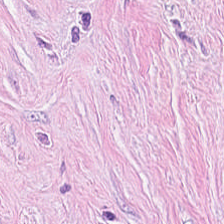H&E.
This patch shows desmoplastic stroma.
